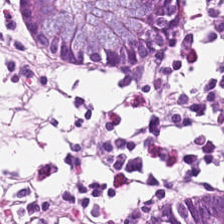H&E. The tissue class is non-neoplastic colon mucosa.
